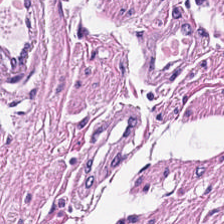0.5 µm/px · 224×224 px tile · H&E stain — Q: What tissue type is shown here?
A: This is smooth muscle.
